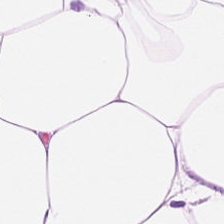The tissue type is adipocytes.
